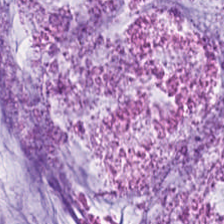FFPE; H&E-stained tissue section.
Tissue class: mucus.
